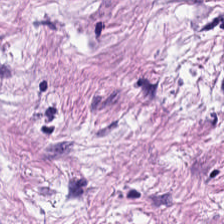Hematoxylin-and-eosin stained section. Histology — desmoplastic stroma.
